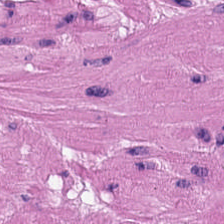Hematoxylin and eosin. Finding — smooth-muscle tissue.
